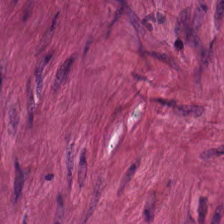Tissue type — smooth muscle.
